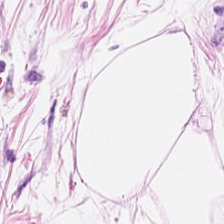H&E-stained tissue section — This patch shows adipose tissue.
